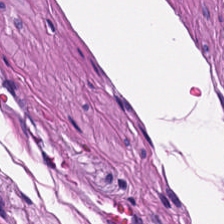Stain: H&E.
Resolution: 20× equivalent magnification.
Tissue class: smooth muscle.
